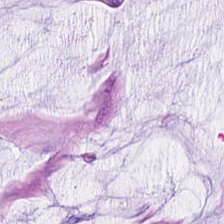Stain: H&E stain.
Tissue type: mucus.
